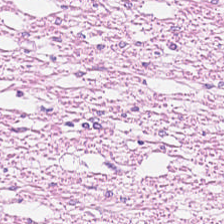Classification — muscularis.
